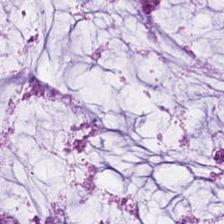H&E — This patch shows mucus.
